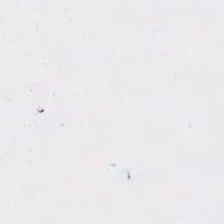Hematoxylin-and-eosin stained section · FFPE tissue section. Content: background (no tissue).
